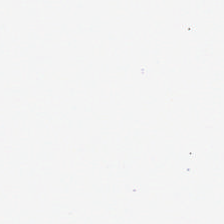Q: What is shown in this field?
A: No tissue.
